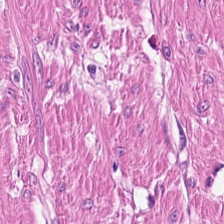H&E. The predominant tissue is smooth muscle.
